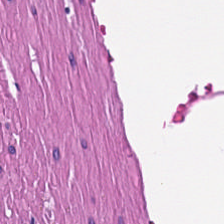H&E. Showing smooth-muscle tissue.
